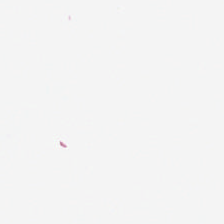H&E. Brightfield. This field is background (no tissue).
